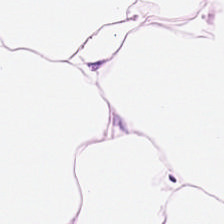0.5 µm per pixel · H&E — Q: What tissue is shown?
A: This is adipocytes.
